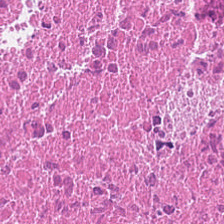20× equivalent magnification. Hematoxylin-and-eosin stained section.
Debris.
